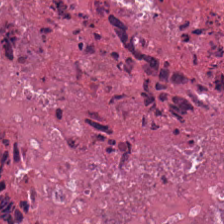Hematoxylin and eosin — Predominantly cellular debris.
